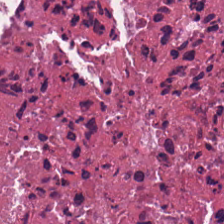H&E-stained tissue section. Cellular debris.
